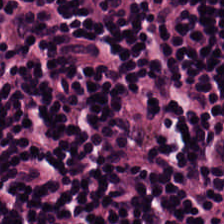Q: Classify this patch.
A: The field shows lymphocytic infiltrate.
